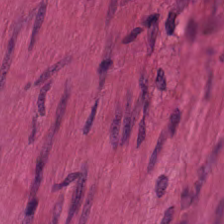H&E patch showing smooth muscle.
